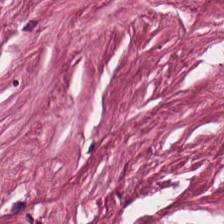H&E — The tissue here is tumor stroma.
